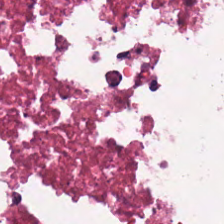Hematoxylin-and-eosin stained section. 0.5 µm/px. FFPE tissue section. Tissue type — cellular debris.
